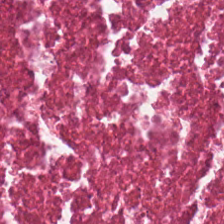H&E-stained tissue section — The tissue here is necrotic debris.
